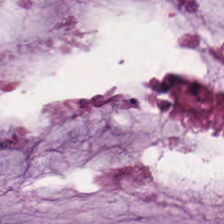This field is mucin.
